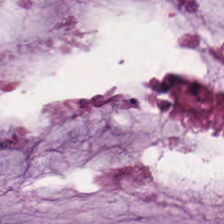This field is mucin.
